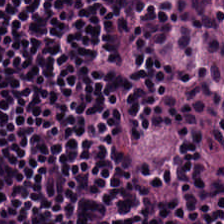H&E stain.
Tissue class = lymphocytic infiltrate.
